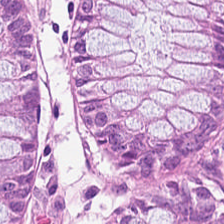Impression — normal colon mucosa.
